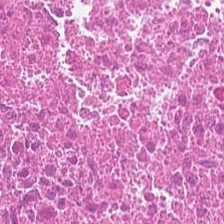H&E patch showing debris.
